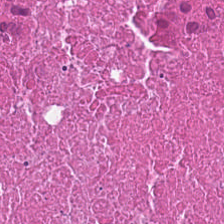H&E stain. Finding → necrotic debris.
